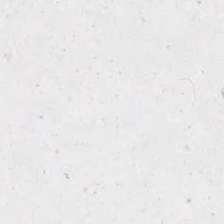H&E; 224×224 px patch.
{"content": "background"}
